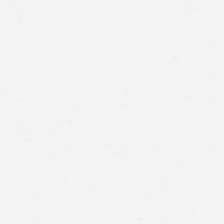Stain: H&E-stained tissue section.
Resolution: 20× equivalent magnification.
Field content: no tissue.
